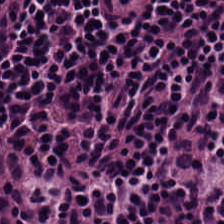H&E stain — The predominant tissue is lymphoid infiltrate.
